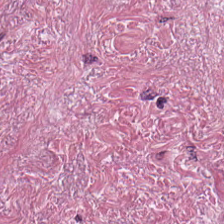H&E; 224×224 px patch; FFPE — This field is tumor-associated stroma.
